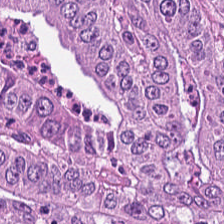Hematoxylin-and-eosin stained section.
Tissue class = tumor epithelium.
